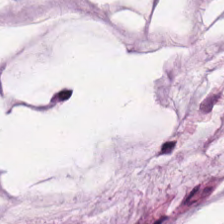Stain: H&E stain.
Tile size: 224×224 px patch.
Preparation: formalin-fixed paraffin-embedded section.
Classification: mucin.
